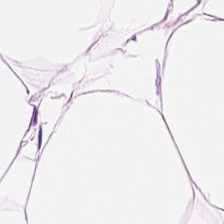Formalin-fixed paraffin-embedded section; hematoxylin and eosin — This patch shows adipose tissue.
